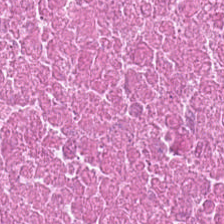20× equivalent magnification. Hematoxylin-and-eosin stained section. Formalin-fixed paraffin-embedded section.
The tissue class is necrotic debris.
